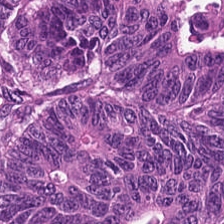Hematoxylin and eosin · 224×224 px patch. This field is colorectal adenocarcinoma epithelium.
